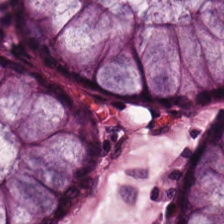Hematoxylin-and-eosin stained section · 0.5 µm/px. Histology — normal colon mucosa.
